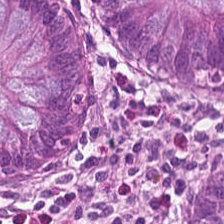Hematoxylin-and-eosin stained section; whole-slide-image patch.
This patch shows non-neoplastic colon mucosa.
